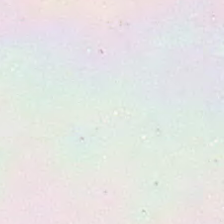H&E-stained tissue section.
The content is background (no tissue).
